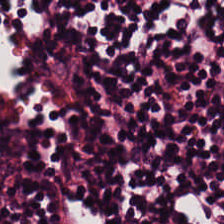Stain: H&E stain.
Classification: lymphoid infiltrate.
